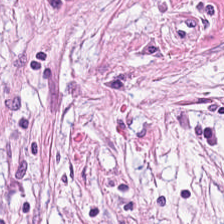H&E stain.
Tumor-associated stroma.
